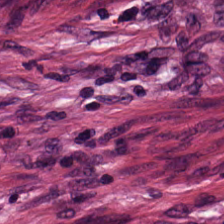H&E · whole-slide-image patch.
The predominant tissue is tumor-associated stroma.
